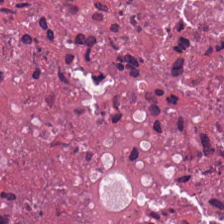H&E-stained tissue section. Predominantly debris.
